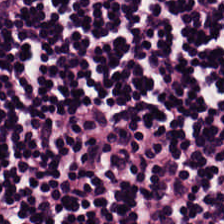This field is lymphocytic infiltrate.
